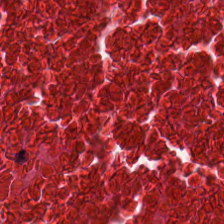Stain: hematoxylin-and-eosin stained section.
Acquisition: WSI patch.
Tile size: 224×224 px patch.
Tissue type: debris.
